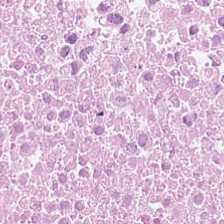0.5 µm per pixel · H&E-stained tissue section — The predominant tissue is cellular debris.
